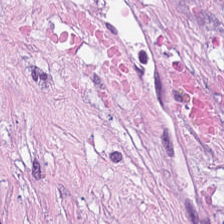{"tissue_type": "cancer-associated stroma"}
